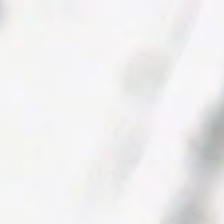Formalin-fixed paraffin-embedded section; 224×224 px tile; hematoxylin and eosin.
Histology — no tissue.
